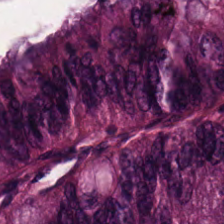Tissue type: colorectal adenocarcinoma.
